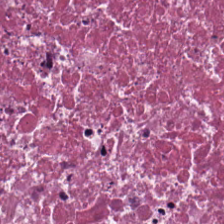Predominant tissue — cellular debris.
